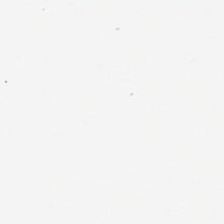WSI patch; H&E; FFPE tissue section.
Background — no tissue in this field.
